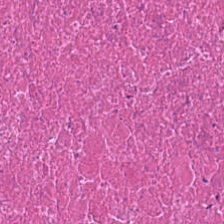Q: Classify this patch.
A: The field shows cellular debris.
